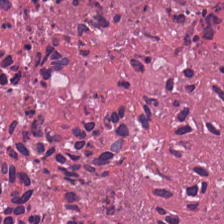H&E-stained tissue section showing necrotic debris.
